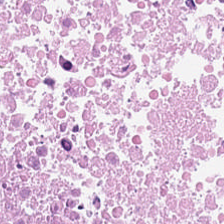Hematoxylin-and-eosin stained section. This patch shows necrotic debris.
